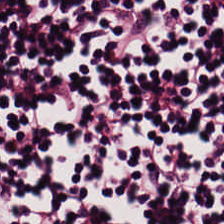H&E stain. Brightfield. Tissue — lymphocyte aggregate.
